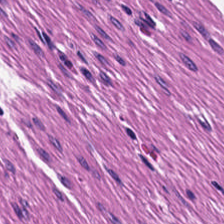H&E — The classification is smooth muscle.
